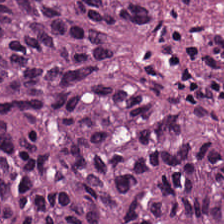H&E — Showing tumor epithelium.
